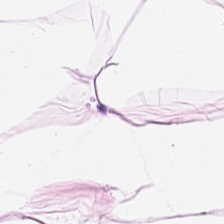H&E — This field is adipose tissue.
